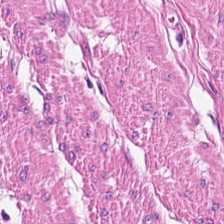Hematoxylin and eosin. Predominant tissue: smooth muscle.
